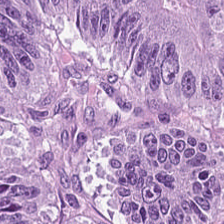H&E stain. Impression — tumor epithelium.
